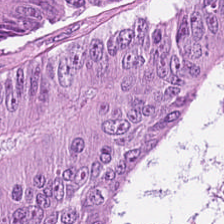Impression — colorectal adenocarcinoma.
